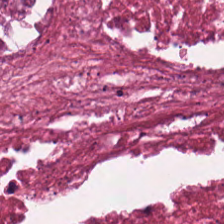Hematoxylin and eosin.
Necrotic debris.
